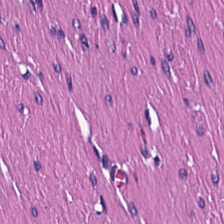Q: What is shown in this field?
A: The field shows smooth muscle.
